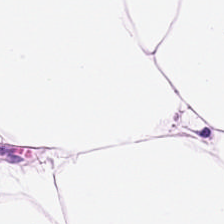Hematoxylin-and-eosin stained section — This field is adipose.
